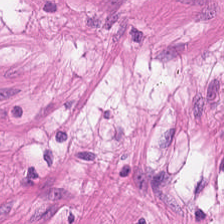H&E-stained section; the field shows muscularis.
